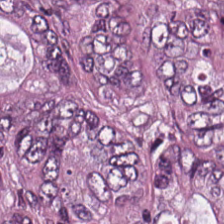Finding → adenocarcinoma.
